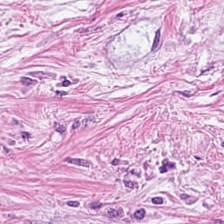Hematoxylin and eosin; 20× equivalent magnification — Showing tumor-associated stroma.
